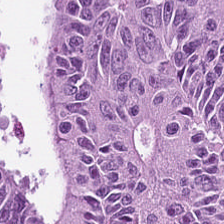FFPE; H&E. The classification is adenocarcinoma.
